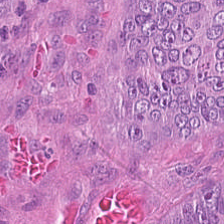H&E; FFPE.
The predominant tissue is malignant epithelium.
